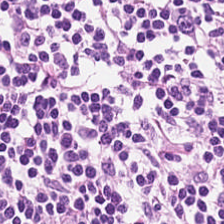Stain: hematoxylin-and-eosin stained section.
Predominant tissue: lymphocytic infiltrate.
